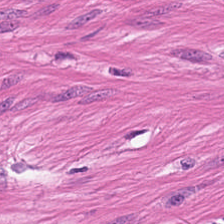224×224 pixel tile. WSI patch. H&E stain. Q: What tissue type is shown here?
A: This is smooth-muscle tissue.
